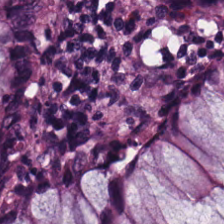Hematoxylin and eosin — The predominant tissue is normal colon mucosa.
